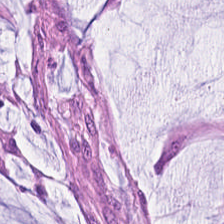H&E. 0.5 microns per pixel.
The predominant tissue is extracellular mucin.
